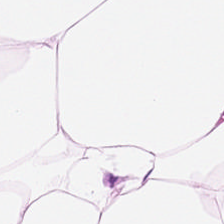H&E stain. The tissue here is adipose.
